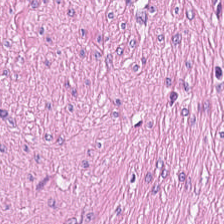224×224 px tile. Hematoxylin-and-eosin stained section — Predominantly smooth muscle.
